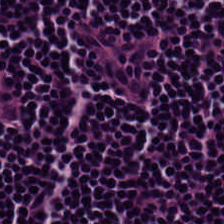H&E stain; brightfield. The tissue class is lymphocytes.
